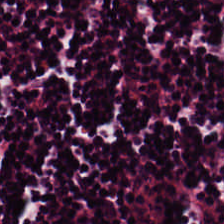Stain: hematoxylin and eosin.
Preparation: formalin-fixed paraffin-embedded section.
Tile size: 224×224 px tile.
Tissue class: lymphocyte aggregate.
